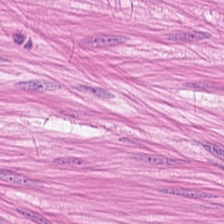H&E — {"tissue_type": "muscularis"}
